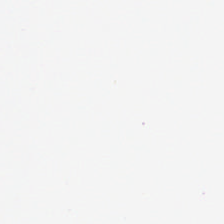Q: What does this patch show?
A: This is no tissue.
